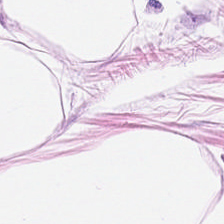Stain: H&E-stained tissue section.
Preparation: FFPE tissue section.
Predominant tissue: fat tissue.
